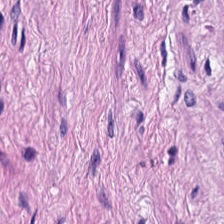H&E stain. 224×224 pixel tile — Predominant tissue = muscularis.
